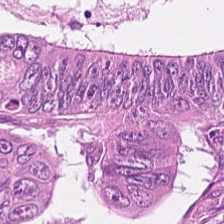Hematoxylin and eosin.
This patch shows adenocarcinoma.
